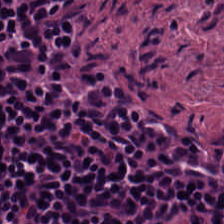This field is lymphoid infiltrate.
